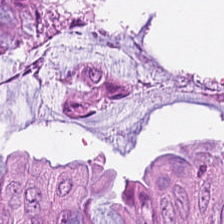Q: What is shown here?
A: The field shows tumor epithelium.
